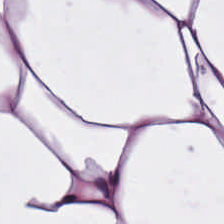H&E — adipocytes.
